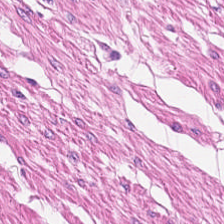H&E stain. Histology — smooth-muscle tissue.
